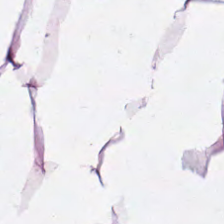Stain: H&E-stained tissue section.
Preparation: FFPE tissue section.
Resolution: 0.5 microns per pixel.
Tissue type: adipocytes.
